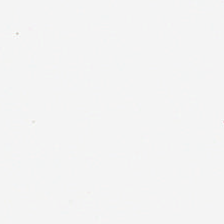Hematoxylin-and-eosin stained section; brightfield microscopy.
Background — no tissue in this field.
